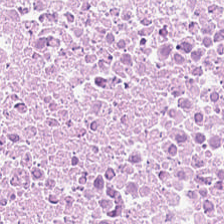H&E-stained tissue section. 224×224 pixel tile. The tissue here is debris.
